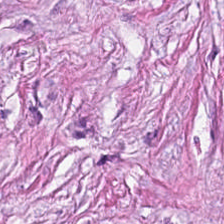224×224 px tile · hematoxylin and eosin.
Predominant tissue: tumor stroma.
